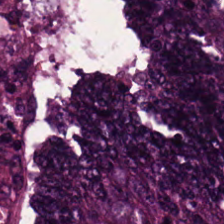Hematoxylin-and-eosin stained section.
Predominant tissue = colorectal adenocarcinoma.
